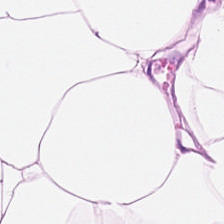H&E. Q: What does this patch show?
A: This is adipocytes.
